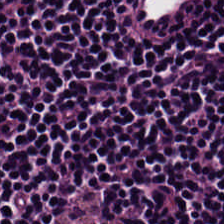Hematoxylin-and-eosin stained section — Q: What tissue type is shown here?
A: The field shows lymphoid infiltrate.
